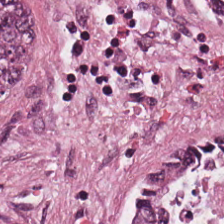H&E. 20× equivalent magnification. {"tissue_type": "colorectal adenocarcinoma epithelium"}
